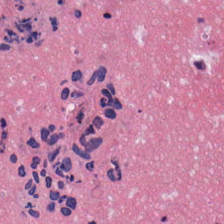Hematoxylin-and-eosin section: necrotic debris.
